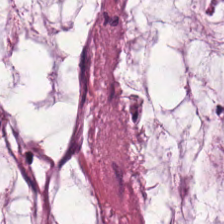Hematoxylin-and-eosin stained section. WSI patch — Extracellular mucin.
